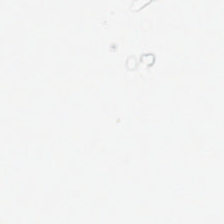Classification — background.
